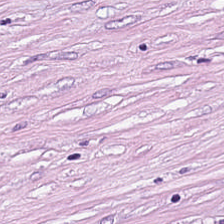H&E.
Classification = tumor-associated stroma.
